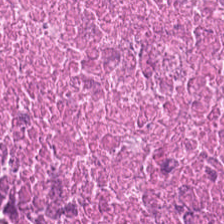H&E. The tissue here is necrotic debris.
